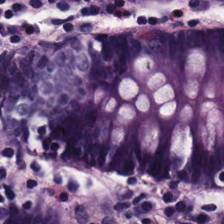Hematoxylin and eosin. This patch shows normal colon mucosa.
